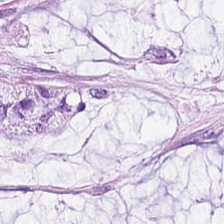{"tissue_type": "mucus"}
